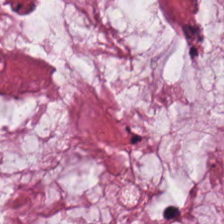H&E-stained tissue section · 0.5 µm/px — Tissue = mucus.
